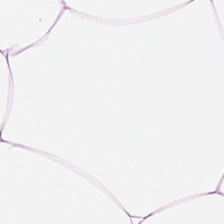Impression → adipocytes.
